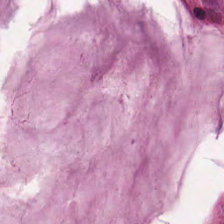Stain: H&E.
Tissue type: mucin.
